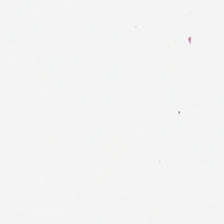Field content: no tissue.
